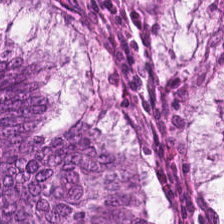Hematoxylin and eosin — Classification — tumor epithelium.
